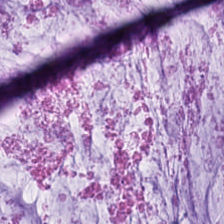The tissue here is extracellular mucin.
